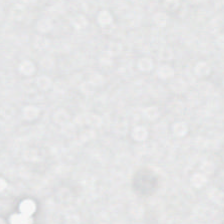H&E-stained tissue section; FFPE tissue section; 0.5 µm per pixel. Impression → no tissue.
